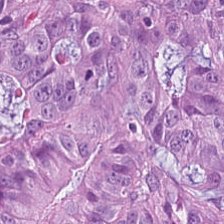H&E — Q: Identify the tissue.
A: The field shows adenocarcinoma.
